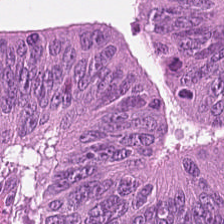H&E — tumor epithelium.
